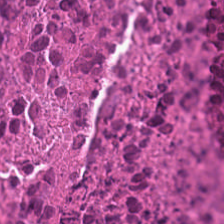Hematoxylin-and-eosin stained section · FFPE. Showing necrotic debris.
